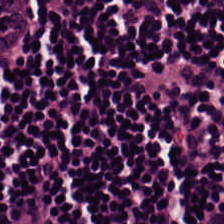Classification — lymphocytic infiltrate.
